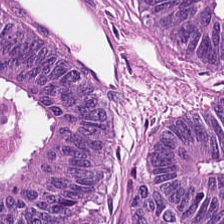0.5 µm per pixel. FFPE tissue section. Hematoxylin and eosin. Showing tumor epithelium.
